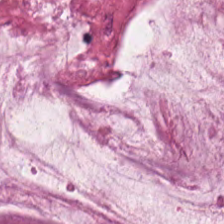Stain: H&E-stained tissue section.
Classification: extracellular mucin.
